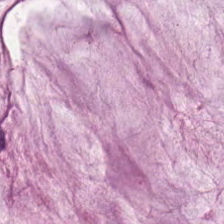Stain: H&E.
Predominant tissue: extracellular mucin.
